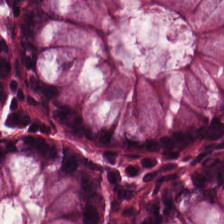FFPE tissue section · H&E-stained tissue section · brightfield microscopy — This patch shows benign colonic mucosa.
